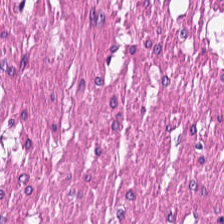Hematoxylin-and-eosin stained section. Muscularis.
